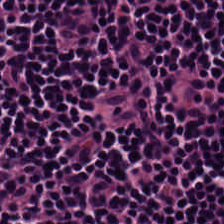H&E. The tissue is lymphocytes.
